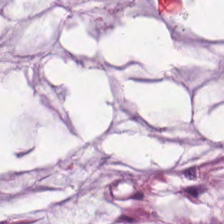Stain: H&E.
Tissue type: mucus.
